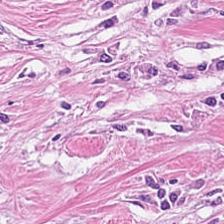Hematoxylin-and-eosin stained section — Showing tumor stroma.
